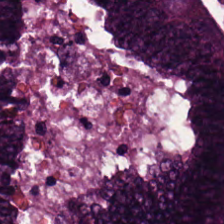Whole-slide-image patch · hematoxylin-and-eosin stained section.
{"tissue_type": "colorectal adenocarcinoma epithelium"}
